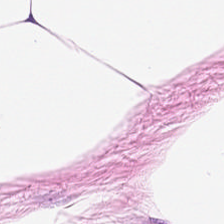The classification is adipose tissue.
